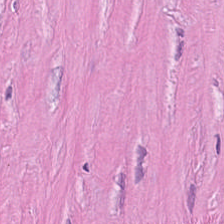Stain: hematoxylin-and-eosin stained section.
Classification: desmoplastic stroma.
